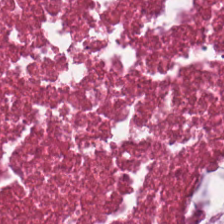Brightfield microscopy; hematoxylin and eosin; 0.5 µm/px.
Histology → debris.
